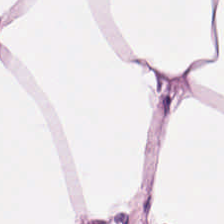Brightfield microscopy · hematoxylin-and-eosin stained section — Q: What tissue type is shown here?
A: It is adipose tissue.
